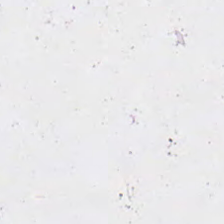This patch shows empty background.
